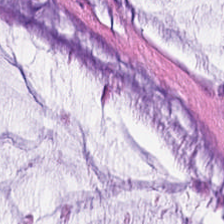0.5 µm/px; hematoxylin and eosin.
Mucus.
